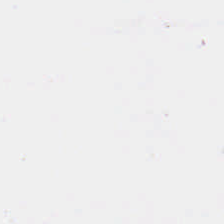H&E-stained tissue section — No tissue present; background only.
